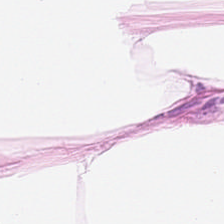Stain: H&E-stained tissue section.
Acquisition: whole-slide-image patch.
Predominant tissue: adipocytes.
